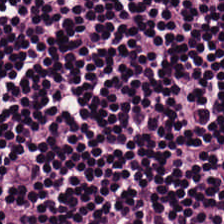H&E · 20× equivalent magnification · whole-slide-image patch.
The tissue here is lymphocyte aggregate.
